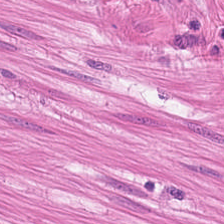Stain: hematoxylin and eosin.
Tissue: muscularis.
